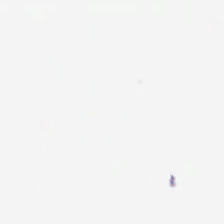Hematoxylin-and-eosin stained section — This field is background (no tissue).
